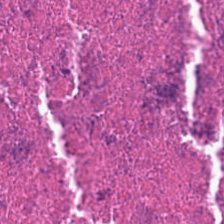Predominantly debris.
